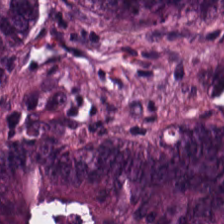0.5 microns per pixel; hematoxylin-and-eosin stained section.
Q: What tissue type is shown here?
A: Colorectal adenocarcinoma epithelium.
